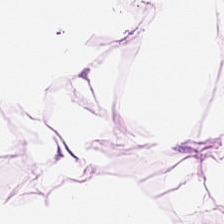H&E stain.
Finding → adipose tissue.
